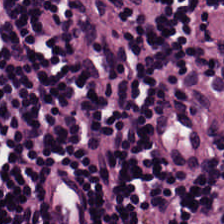224×224 px patch · H&E · brightfield.
The predominant tissue is lymphoid infiltrate.
